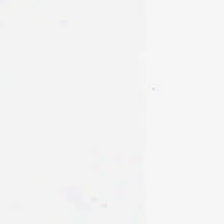Hematoxylin-and-eosin stained section. Background — no tissue in this field.
